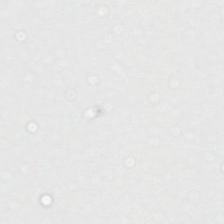FFPE tissue section · H&E stain — Impression — empty background.
